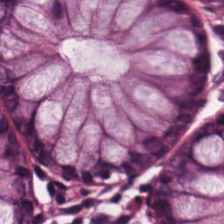224×224 px patch. Brightfield. H&E. The tissue is benign colonic mucosa.
